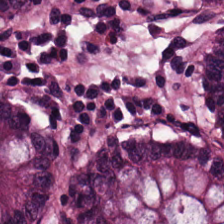H&E stain — This field is non-neoplastic colon mucosa.
